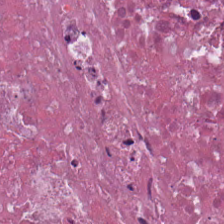Stain: hematoxylin-and-eosin stained section.
Tissue class: debris.
